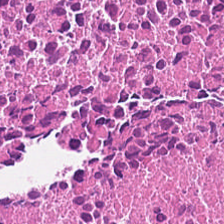Q: What is shown here?
A: It is cellular debris.
